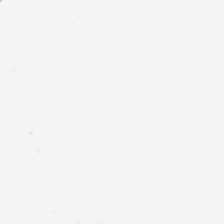H&E-stained tissue section.
No tissue.
